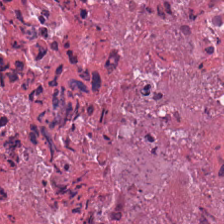H&E. Impression — cellular debris.
